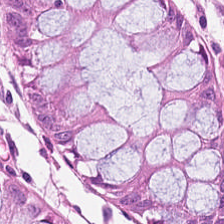H&E; FFPE; 20× equivalent magnification.
Q: Identify the tissue.
A: It is benign colonic mucosa.
